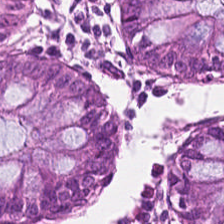20× equivalent magnification; H&E — The predominant tissue is non-neoplastic colon mucosa.
